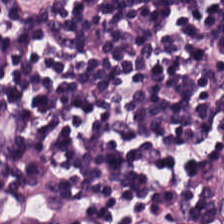Hematoxylin-and-eosin stained section; 0.5 µm per pixel; WSI patch. This patch shows lymphoid infiltrate.
